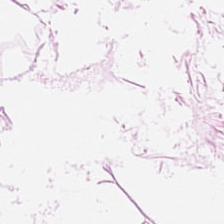WSI patch; H&E.
Histology → adipose.
